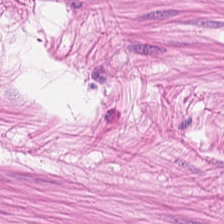224×224 px tile; hematoxylin-and-eosin stained section. This field is smooth-muscle tissue.
